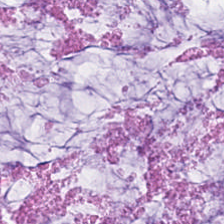Hematoxylin and eosin · WSI patch · formalin-fixed paraffin-embedded section.
Classification: mucus.
